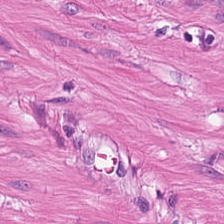Q: Identify the tissue.
A: It is smooth-muscle tissue.
